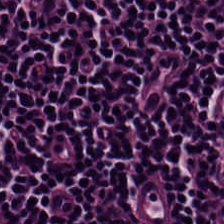H&E-stained tissue section showing lymphocytes.
